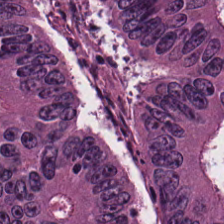Tissue class = tumor epithelium.
